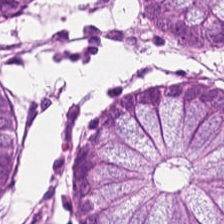Benign colonic mucosa.
